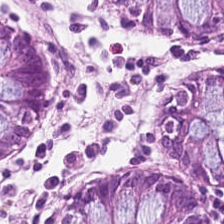224×224 px patch. Brightfield microscopy. Hematoxylin and eosin. The tissue here is benign colonic mucosa.
